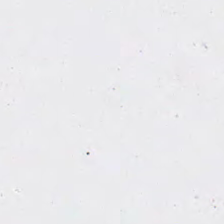This patch shows empty background.
